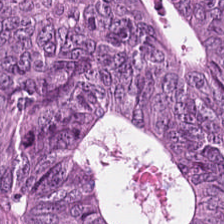Hematoxylin-and-eosin stained section. The tissue is colorectal adenocarcinoma.
